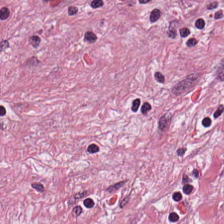H&E.
The tissue is desmoplastic stroma.
